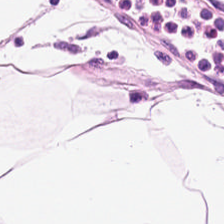Hematoxylin-and-eosin stained section · 0.5 µm per pixel. This field is fat tissue.
